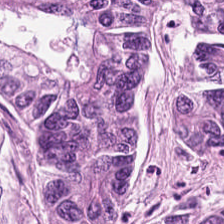Colorectal adenocarcinoma epithelium.
